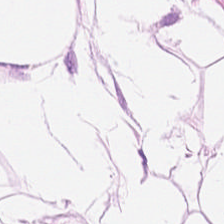0.5 µm per pixel. H&E stain — Tissue class — adipose.
